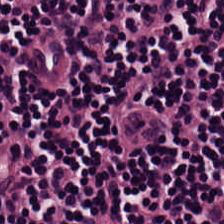Hematoxylin-and-eosin stained section — Impression → lymphoid infiltrate.
